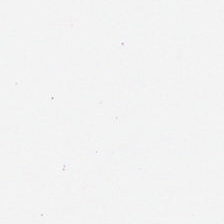Field content — background (no tissue).
